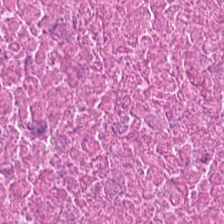Predominant tissue: cellular debris.
